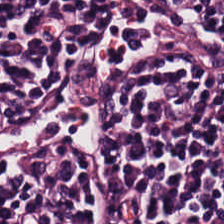The classification is lymphocytes.
